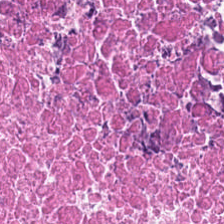Hematoxylin and eosin. Formalin-fixed paraffin-embedded section. Tissue class = necrotic debris.
